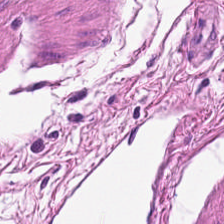The tissue class is smooth muscle.
